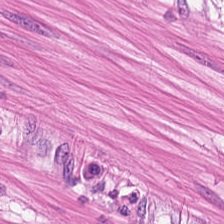H&E. This patch shows smooth-muscle tissue.
